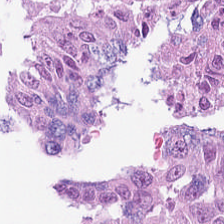Q: Classify this patch.
A: This is colorectal adenocarcinoma epithelium.
